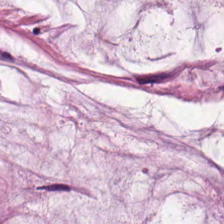H&E stain.
Showing mucus.
